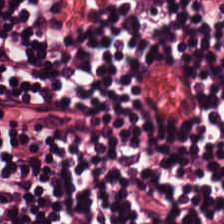H&E; formalin-fixed paraffin-embedded section; brightfield.
Finding → lymphocytes.
